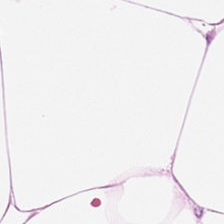Formalin-fixed paraffin-embedded section; H&E.
Classification — adipose tissue.
